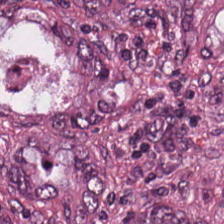This patch shows adenocarcinoma.
